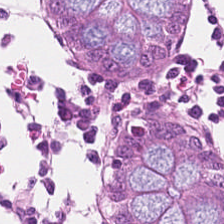H&E stain · brightfield microscopy · 0.5 µm/px — Finding → non-neoplastic colon mucosa.
